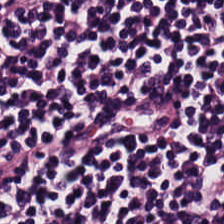Hematoxylin and eosin; 0.5 µm per pixel.
The tissue is lymphocyte aggregate.
